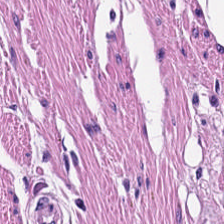Hematoxylin and eosin. The tissue class is muscularis.
